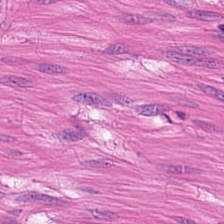H&E-stained tissue section — Smooth-muscle tissue.
